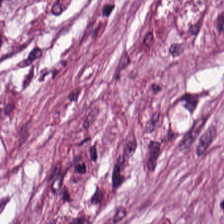H&E — Tissue type: tumor stroma.
